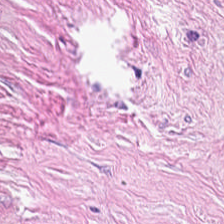The tissue here is cancer-associated stroma.
